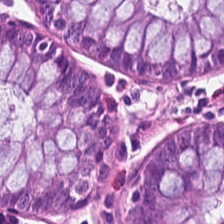H&E. The tissue here is benign colonic mucosa.
